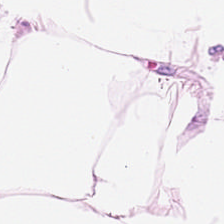Histology → adipocytes.
